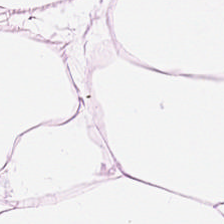The tissue type is fat tissue.
